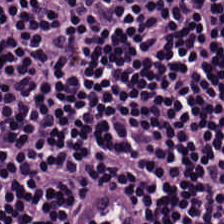Stain: H&E stain.
Resolution: 0.5 µm/px.
Classification: lymphoid infiltrate.
